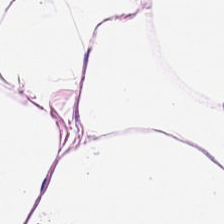Brightfield microscopy; H&E stain — Predominant tissue: fat tissue.
